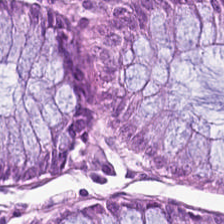H&E — benign colonic mucosa.
